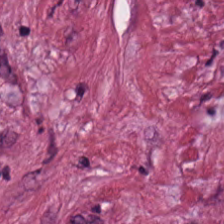Stain: H&E.
Tissue type: desmoplastic stroma.
